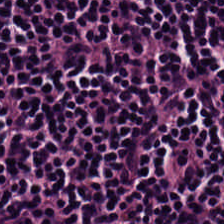Classification — lymphocyte aggregate.
